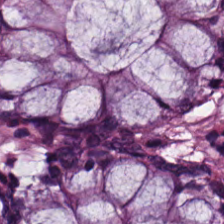H&E-stained tissue section; FFPE tissue section. Finding → normal colonic mucosa.
